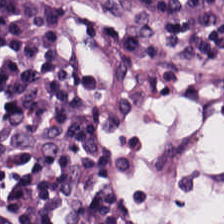Tissue — lymphocytes.
